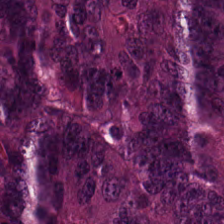H&E stain; 0.5 microns per pixel.
{"tissue_type": "colorectal adenocarcinoma"}
